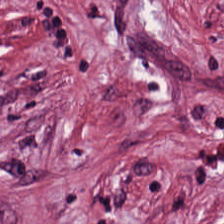H&E stain.
{"tissue_type": "cancer-associated stroma"}
